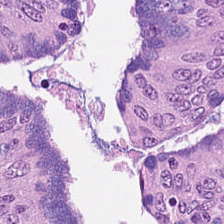The predominant tissue is colorectal adenocarcinoma epithelium.
